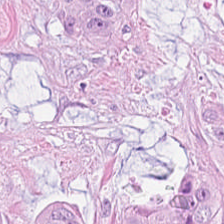Q: What type of tissue is this?
A: This is colorectal adenocarcinoma.
